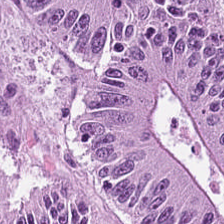Hematoxylin and eosin — Tissue = colorectal adenocarcinoma.
